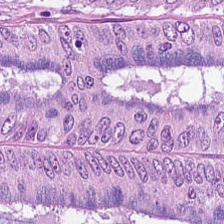Brightfield; 224×224 pixel tile; H&E stain — This field is colorectal adenocarcinoma epithelium.
